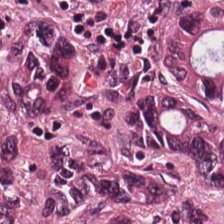Finding — tumor epithelium.
